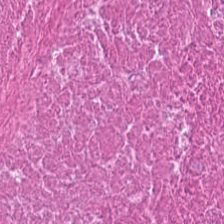Hematoxylin-and-eosin stained section. 224×224 px tile.
The tissue is cellular debris.
